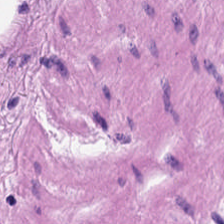H&E. This field is muscularis.
